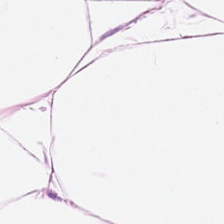Histology — adipocytes.
